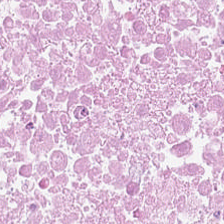Formalin-fixed paraffin-embedded section. H&E-stained tissue section.
Predominantly necrotic debris.
